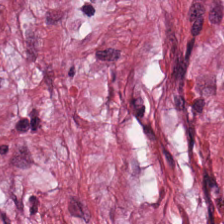20× equivalent magnification. H&E-stained tissue section. Brightfield — The predominant tissue is cancer-associated stroma.
